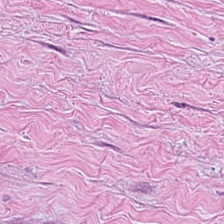Brightfield microscopy; 0.5 microns per pixel; H&E stain.
Q: What is shown in this field?
A: It is cancer-associated stroma.
